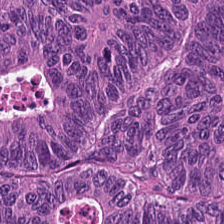224×224 pixel tile; H&E — Impression → malignant epithelium.
